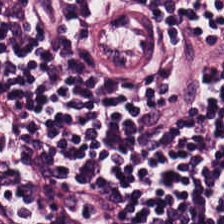Stain: H&E stain.
Tile size: 224×224 px patch.
Tissue type: lymphocytic infiltrate.
